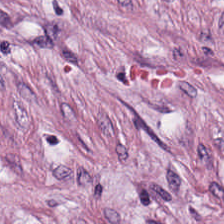Predominantly tumor-associated stroma.
